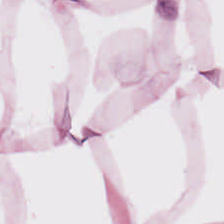The predominant tissue is fat tissue.
